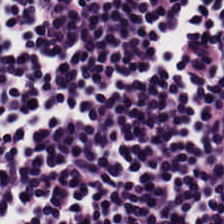Brightfield. Hematoxylin-and-eosin stained section — Tissue type: lymphoid infiltrate.
